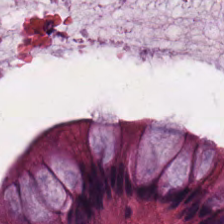H&E. 0.5 microns per pixel — The predominant tissue is normal colonic mucosa.
